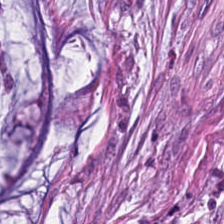The predominant tissue is mucus.
